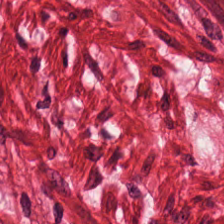Hematoxylin and eosin. The predominant tissue is smooth-muscle tissue.
